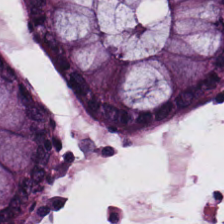H&E — non-neoplastic colon mucosa.
